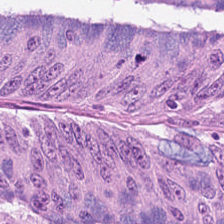0.5 µm/px. Hematoxylin-and-eosin stained section. 224×224 px patch.
Predominantly malignant epithelium.
